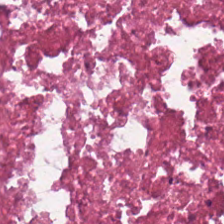Hematoxylin and eosin. The tissue here is cellular debris.
